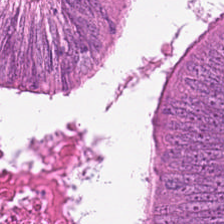Stain: H&E.
Classification: colorectal adenocarcinoma epithelium.
